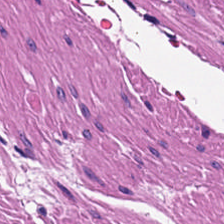224×224 px tile. H&E stain. Q: What tissue is shown?
A: This is smooth muscle.
